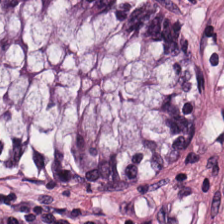0.5 µm/px; H&E-stained tissue section; whole-slide-image patch.
Finding → non-neoplastic colon mucosa.
